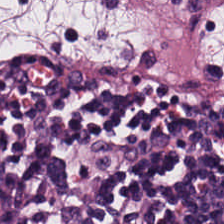H&E stain.
Q: Identify the tissue.
A: The field shows lymphoid infiltrate.
